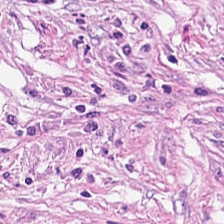This patch shows tumor stroma.
